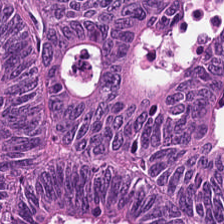Hematoxylin-and-eosin stained section; 224×224 pixel tile.
Predominantly colorectal adenocarcinoma.
